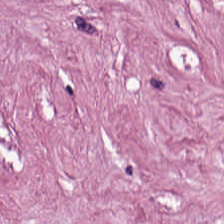Formalin-fixed paraffin-embedded section. H&E stain. Brightfield microscopy. {"tissue_type": "tumor stroma"}
